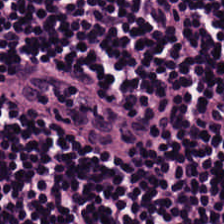H&E. The tissue here is lymphocytic infiltrate.
